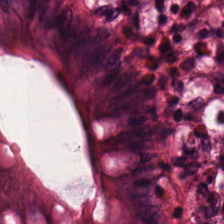H&E stain.
Predominant tissue = benign colonic mucosa.
